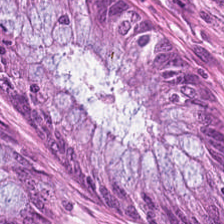The tissue is non-neoplastic colon mucosa.
